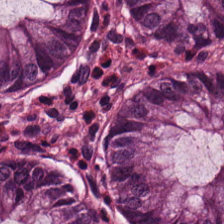The classification is normal colonic mucosa.
